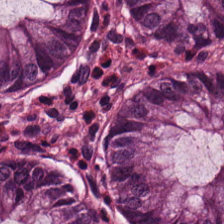The classification is normal colonic mucosa.
